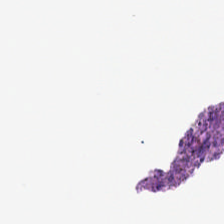224×224 px tile. H&E. 0.5 µm/px. This field is background (no tissue).
